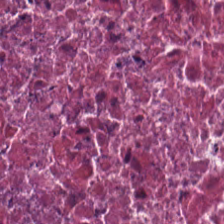H&E.
Tissue class — necrotic debris.
